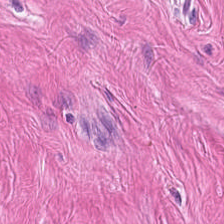Hematoxylin-and-eosin stained section.
Finding → smooth muscle.
